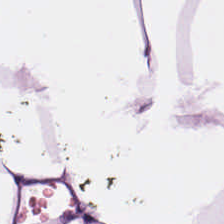Stain: hematoxylin-and-eosin stained section.
Classification: adipose tissue.
